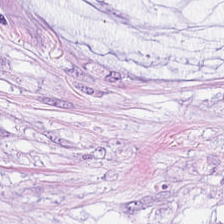Hematoxylin and eosin.
The classification is extracellular mucin.
